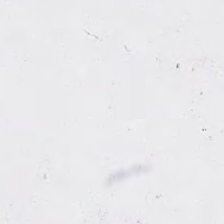Hematoxylin-and-eosin stained section — This field is background (no tissue).
